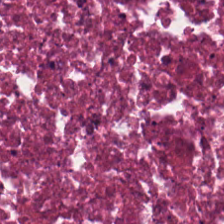Stain: H&E stain.
Predominant tissue: cellular debris.
